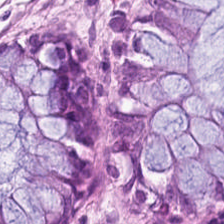224×224 px tile · hematoxylin and eosin. Showing non-neoplastic colon mucosa.
